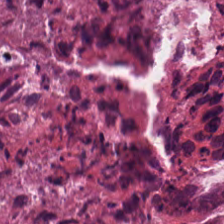FFPE tissue section · hematoxylin-and-eosin stained section — Q: What is shown here?
A: It is cellular debris.
